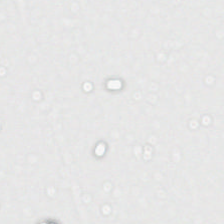Hematoxylin and eosin.
Classification: background.
